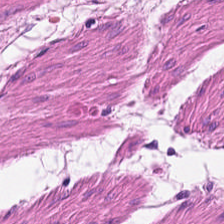{"tissue_type": "muscularis"}
